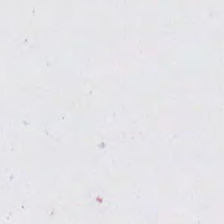Q: What is shown in this field?
A: This is no tissue.
